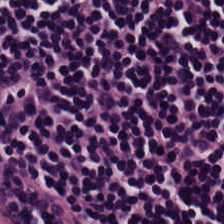{"tissue_type": "lymphocytic infiltrate"}
